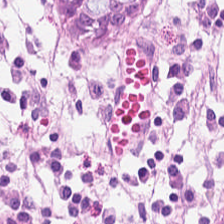Q: What is shown here?
A: Normal colonic mucosa.
